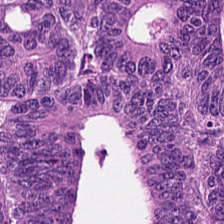The tissue type is malignant epithelium.
